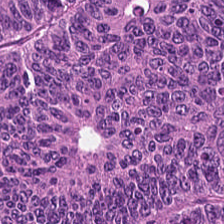FFPE. Brightfield microscopy. Hematoxylin and eosin.
This patch shows malignant epithelium.
